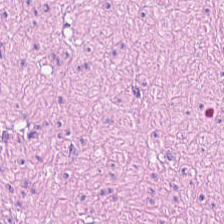{"tissue_type": "smooth muscle"}
